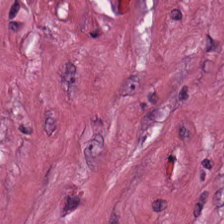Hematoxylin and eosin. Brightfield — This field is tumor stroma.
